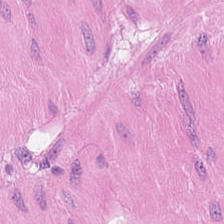Hematoxylin and eosin. This patch shows muscularis.
